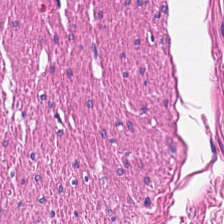H&E stain — Showing smooth muscle.
